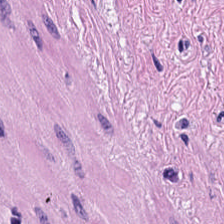H&E stain. {"tissue_type": "smooth muscle"}
